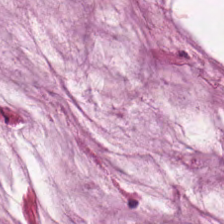Brightfield microscopy · H&E · FFPE tissue section. Q: Classify this patch.
A: This is extracellular mucin.
